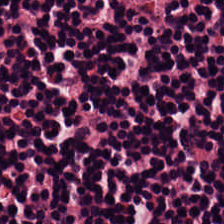H&E stain — This field is lymphocytic infiltrate.
